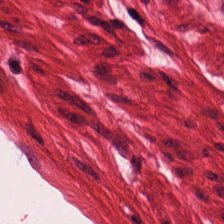Hematoxylin and eosin.
Classification — smooth muscle.
